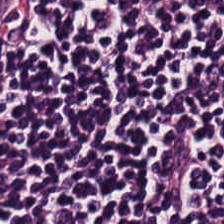Stain: H&E stain.
Tissue: lymphocyte aggregate.
